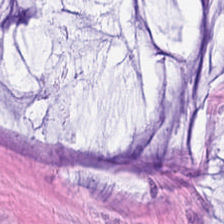H&E stain; 0.5 µm/px; 224×224 px patch — This patch shows mucin.
